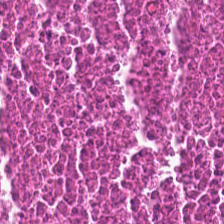H&E stain.
Tissue class — debris.
